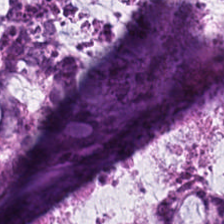H&E; FFPE tissue section — Impression — mucus.
